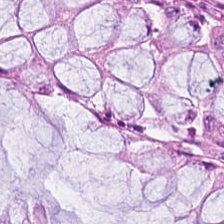WSI patch. Hematoxylin and eosin. 0.5 µm/px. The classification is non-neoplastic colon mucosa.
